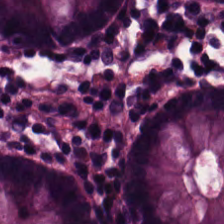Showing non-neoplastic colon mucosa.
